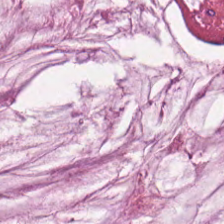224×224 px patch; whole-slide-image patch; H&E-stained tissue section — This patch shows mucin.
